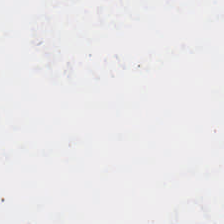H&E — Classification: background (no tissue).
